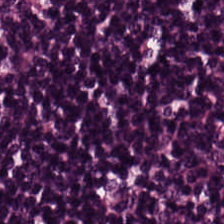Stain: H&E-stained tissue section.
Acquisition: brightfield microscopy.
Tissue class: lymphocytes.
